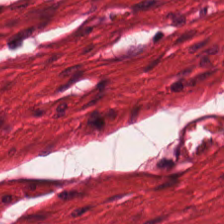224×224 px patch. H&E stain. Impression → smooth muscle.
